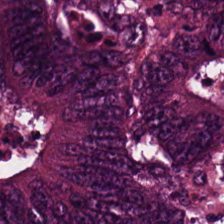H&E.
The tissue here is tumor epithelium.
